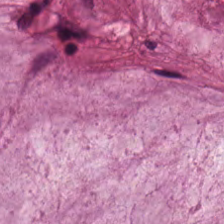Hematoxylin-and-eosin stained section; 224×224 px patch.
The predominant tissue is mucin.
